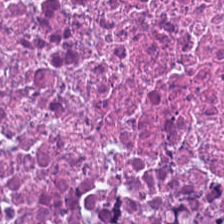H&E-stained tissue section. The tissue is cellular debris.
